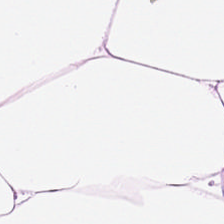H&E-stained tissue section. Tissue class = fat tissue.
